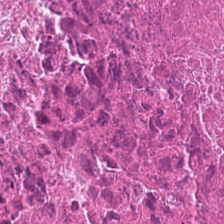H&E stain — Finding → cellular debris.
